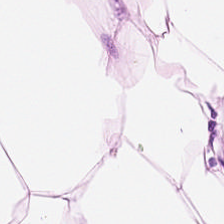Hematoxylin and eosin.
Q: What tissue type is shown here?
A: It is adipocytes.
